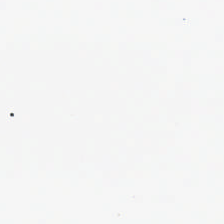H&E — This patch shows background (no tissue).
